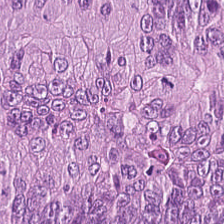Q: What does this patch show?
A: The field shows colorectal adenocarcinoma epithelium.
